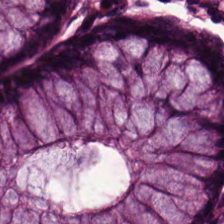Brightfield microscopy. H&E stain. 0.5 microns per pixel. Showing normal colon mucosa.
